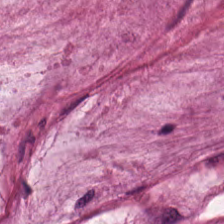Stain: hematoxylin and eosin.
Tissue class: extracellular mucin.
